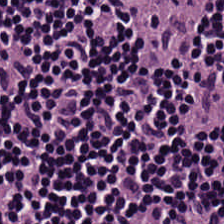Brightfield; H&E-stained tissue section.
Tissue — lymphoid infiltrate.
